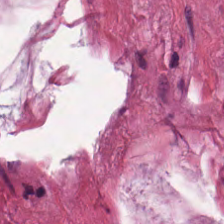Tissue: extracellular mucin.
